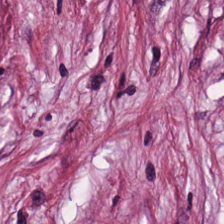This field is desmoplastic stroma.
